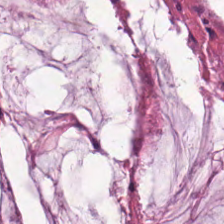224×224 px tile. H&E stain.
Q: What is shown here?
A: This is mucin.
